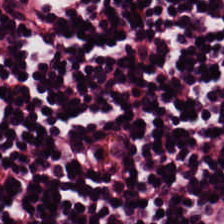H&E stain.
Predominantly lymphocytic infiltrate.
